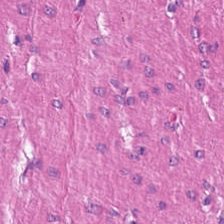H&E stain. FFPE — Classification = smooth-muscle tissue.
